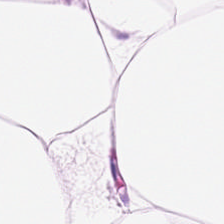H&E. Formalin-fixed paraffin-embedded section.
Fat tissue.
